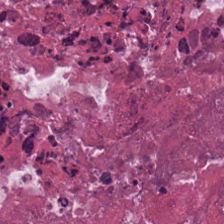H&E stain. Q: What is shown here?
A: The field shows debris.
